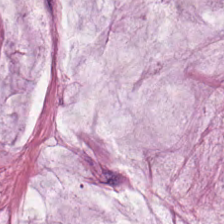224×224 pixel tile · hematoxylin and eosin — Classification: extracellular mucin.
